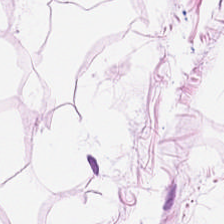224×224 px tile. 0.5 µm/px. H&E stain — Q: What is shown here?
A: It is adipose tissue.
